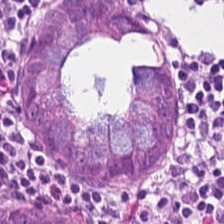Q: What is the predominant tissue type?
A: The field shows non-neoplastic colon mucosa.
